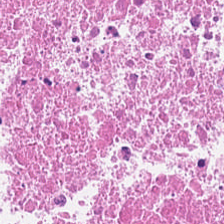H&E.
{"tissue_type": "necrotic debris"}
